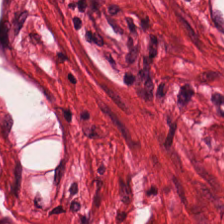224×224 px patch · H&E-stained tissue section — Tissue class = muscularis.
